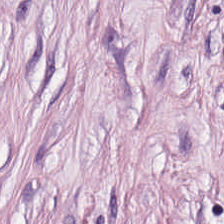H&E. 224×224 pixel tile. Brightfield microscopy — Finding → desmoplastic stroma.
